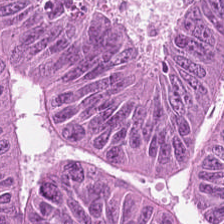Hematoxylin-and-eosin stained section · 0.5 µm/px — Q: What is the predominant tissue type?
A: Colorectal adenocarcinoma.
